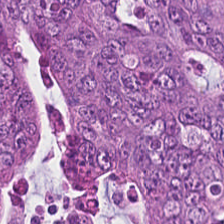Predominant tissue: colorectal adenocarcinoma.
